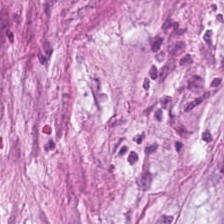The predominant tissue is cancer-associated stroma.
